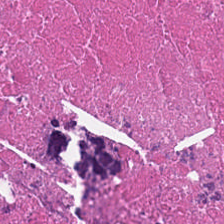H&E stain. Tissue class = cellular debris.
